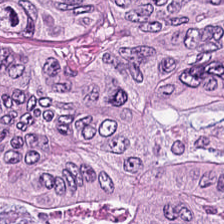WSI patch · H&E-stained tissue section. Q: What does this patch show?
A: It is colorectal adenocarcinoma.
